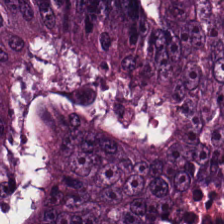H&E.
Q: What is the predominant tissue type?
A: Malignant epithelium.
